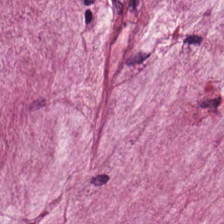224×224 px tile. Hematoxylin-and-eosin stained section. Whole-slide-image patch — The predominant tissue is mucin.
